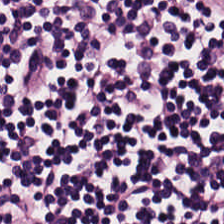{"tissue_type": "lymphocytes"}
